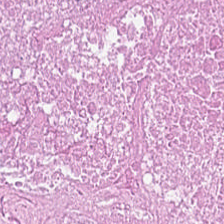H&E stain. Predominant tissue = necrotic debris.
